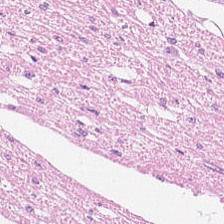Stain: H&E.
Classification: muscularis.
